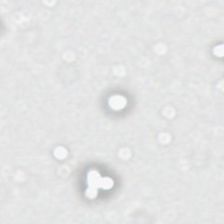H&E stain. This field is background (no tissue).
